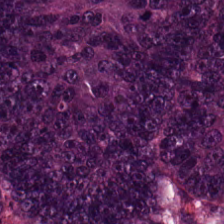H&E-stained tissue section — Finding → malignant epithelium.
